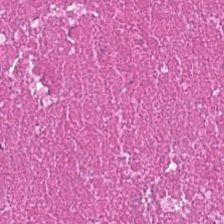Stain: hematoxylin and eosin.
Tissue type: debris.
